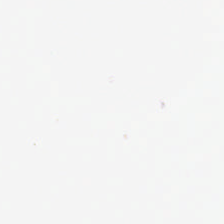Q: Classify this patch.
A: It is no tissue.
